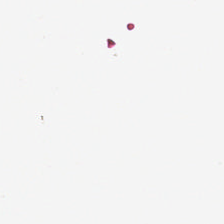Background — no tissue in this field.
